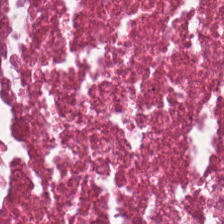Stain: H&E-stained tissue section.
Predominant tissue: debris.
